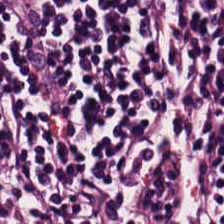Hematoxylin-and-eosin stained section. The tissue here is lymphocyte aggregate.
